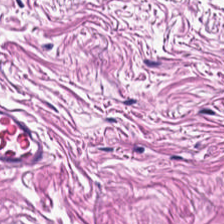20× equivalent magnification · hematoxylin and eosin · formalin-fixed paraffin-embedded section. Tissue = muscularis.
